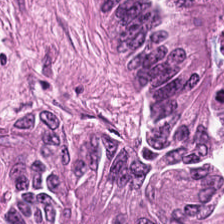H&E.
Showing tumor epithelium.
